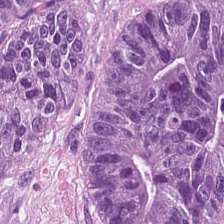Histology → adenocarcinoma.
